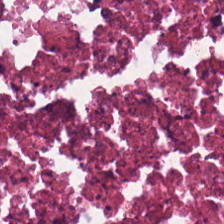Hematoxylin-and-eosin stained section — Classification — cellular debris.
